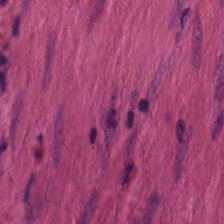FFPE tissue section · brightfield · hematoxylin and eosin.
Showing smooth-muscle tissue.
